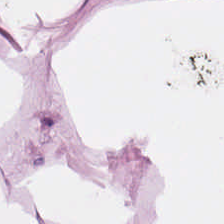H&E · brightfield. Tissue class = adipocytes.
